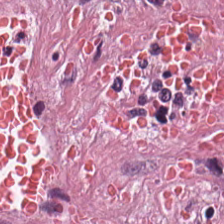Brightfield microscopy · 0.5 microns per pixel · H&E.
The tissue here is tumor-associated stroma.
